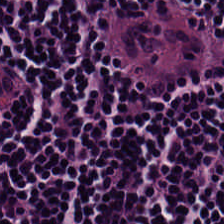FFPE tissue section · hematoxylin and eosin.
This field is lymphoid infiltrate.
